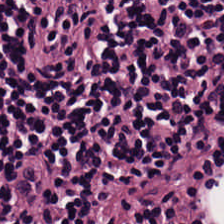224×224 px patch · H&E-stained tissue section · 0.5 µm/px.
Q: What tissue is shown?
A: Lymphocytic infiltrate.
